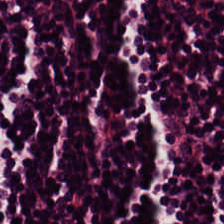Brightfield microscopy. H&E stain.
Predominantly lymphocytic infiltrate.
